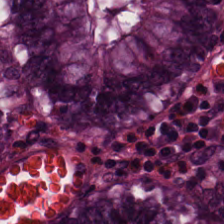H&E · FFPE tissue section.
The tissue type is normal colonic mucosa.
